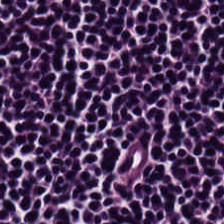H&E-stained tissue section.
Histology → lymphocytes.
